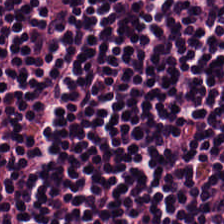H&E.
{"tissue_type": "lymphocyte aggregate"}
